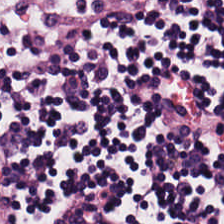0.5 µm per pixel; H&E; FFPE — The predominant tissue is lymphocyte aggregate.
